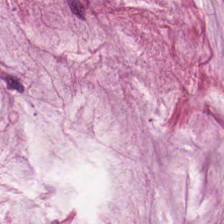H&E stain · WSI patch. The tissue is extracellular mucin.
